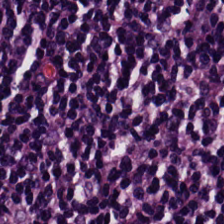WSI patch. 224×224 pixel tile. H&E-stained tissue section.
The tissue here is lymphocytic infiltrate.
